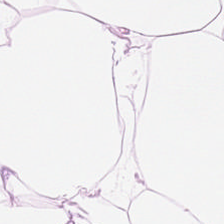Hematoxylin and eosin.
Showing adipose tissue.
